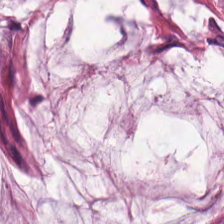FFPE. H&E-stained tissue section.
Impression — mucus.
